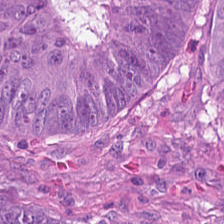Tissue type = tumor epithelium.
